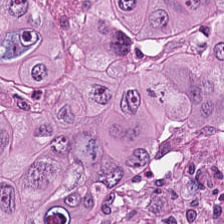Stain: H&E.
Tissue type: adenocarcinoma.
